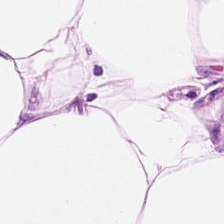Showing adipose tissue.
